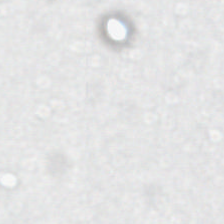Hematoxylin and eosin — Histology → empty background.
